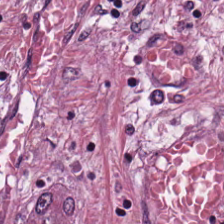Q: What is shown in this field?
A: It is tumor stroma.
